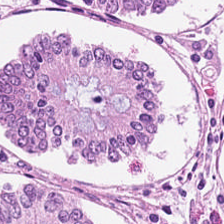H&E-stained tissue section — Q: What does this patch show?
A: The field shows normal colonic mucosa.
